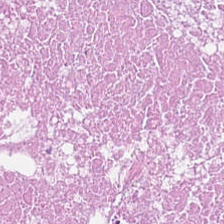Hematoxylin-and-eosin stained section; brightfield — Predominant tissue = cellular debris.
